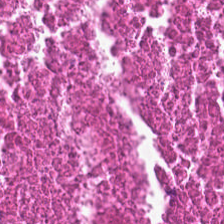Stain: H&E-stained tissue section.
Tissue class: necrotic debris.
